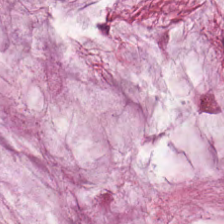Hematoxylin and eosin. 224×224 pixel tile — Q: What type of tissue is this?
A: It is mucus.
